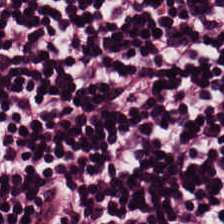This field is lymphocytes.
